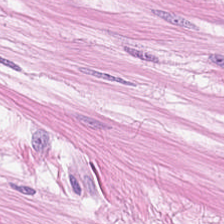224×224 px tile. FFPE tissue section. Hematoxylin and eosin — Tissue class: smooth muscle.
